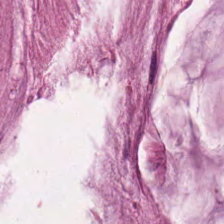H&E — Finding → mucin.
